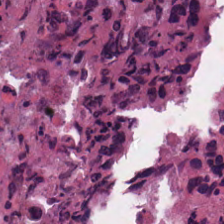H&E — Tissue class — debris.
